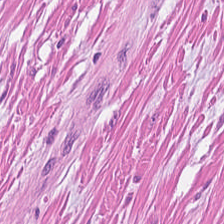224×224 px tile · 20× equivalent magnification · hematoxylin-and-eosin stained section — Tissue: smooth muscle.
